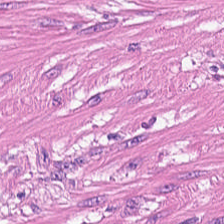H&E-stained tissue section; FFPE.
The tissue here is muscularis.
